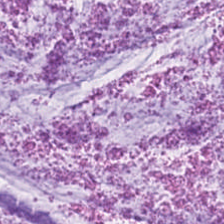Tissue type — mucus.
